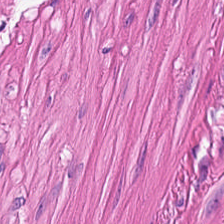Q: What is shown in this field?
A: Smooth-muscle tissue.
